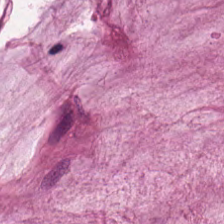Finding → extracellular mucin.
